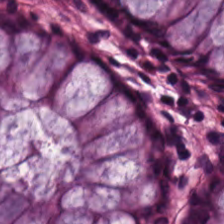Formalin-fixed paraffin-embedded section. 224×224 px tile. H&E stain. Q: What is shown in this field?
A: It is normal colonic mucosa.
